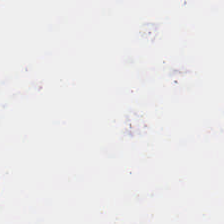Impression — background (no tissue).
